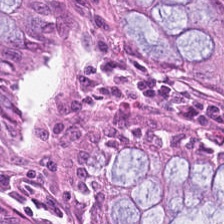Stain: H&E stain.
Acquisition: whole-slide-image patch.
Tissue type: normal colonic mucosa.
